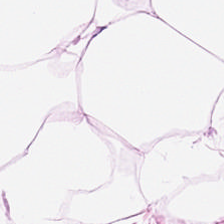Formalin-fixed paraffin-embedded section. H&E stain.
Adipose.
